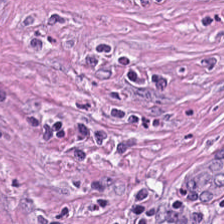Hematoxylin and eosin.
Tissue type — desmoplastic stroma.
